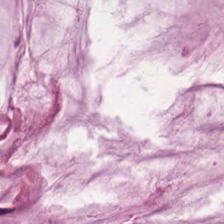Stain: hematoxylin and eosin.
Predominant tissue: extracellular mucin.
